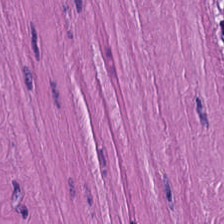Brightfield microscopy; H&E stain. Q: Identify the tissue.
A: The field shows smooth muscle.
